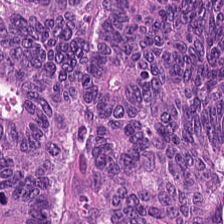Predominant tissue: colorectal adenocarcinoma epithelium.
